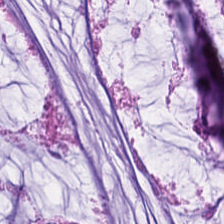Hematoxylin and eosin. Impression → mucin.
